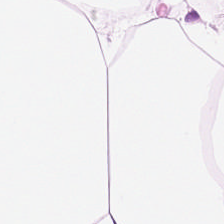H&E stain; FFPE tissue section. Predominantly adipose tissue.
